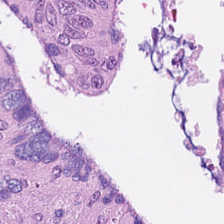H&E — Tissue type = malignant epithelium.
